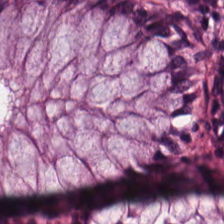Hematoxylin-and-eosin stained section — Tissue class — non-neoplastic colon mucosa.
